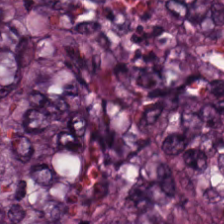224×224 px tile. H&E.
{"tissue_type": "colorectal adenocarcinoma"}
